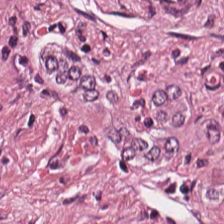Hematoxylin and eosin.
Q: What does this patch show?
A: It is tumor stroma.
